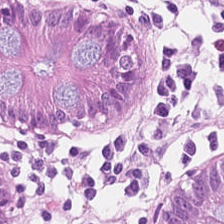Brightfield. H&E-stained tissue section.
Normal colonic mucosa.
